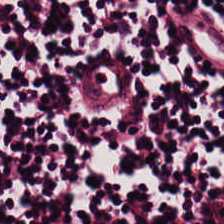H&E.
Tissue = lymphocytic infiltrate.
